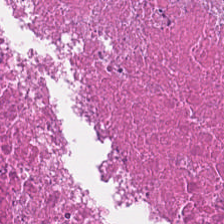H&E stain. The predominant tissue is debris.
